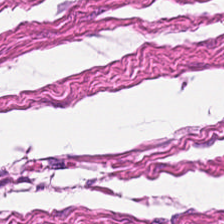The tissue is smooth muscle.
